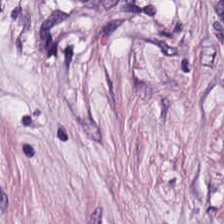FFPE tissue section; H&E stain — Predominant tissue: cancer-associated stroma.
